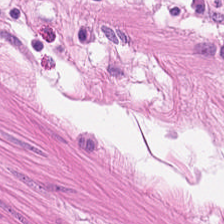Hematoxylin-and-eosin stained section. Whole-slide-image patch — Smooth muscle.
